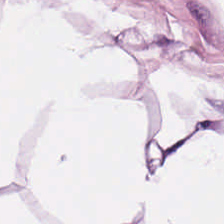Hematoxylin and eosin — Q: What is the predominant tissue type?
A: It is adipose.
